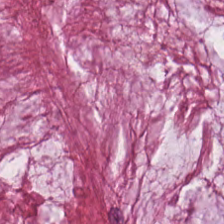Hematoxylin-and-eosin stained section. The predominant tissue is mucin.
